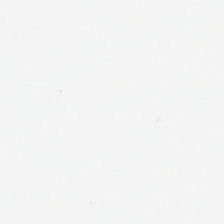Q: What is shown here?
A: This is no tissue.
